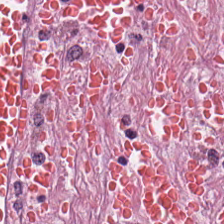H&E stain.
Finding — cancer-associated stroma.
